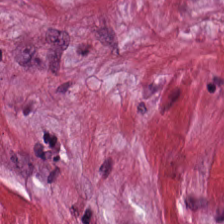0.5 microns per pixel · H&E stain · 224×224 pixel tile. The tissue class is desmoplastic stroma.
